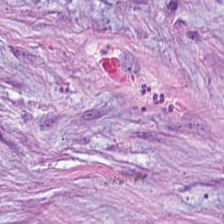H&E. 224×224 pixel tile. FFPE. Q: Identify the tissue.
A: Tumor stroma.
